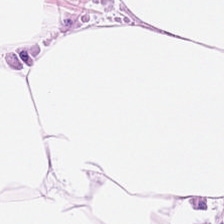Stain: H&E.
Predominant tissue: adipose tissue.
